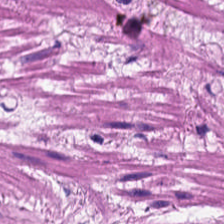Histology — smooth muscle.
